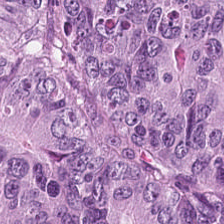{"tissue_type": "colorectal adenocarcinoma"}
